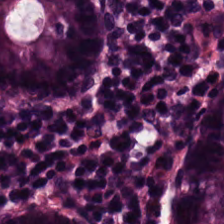Hematoxylin and eosin · brightfield · formalin-fixed paraffin-embedded section. Predominantly non-neoplastic colon mucosa.
